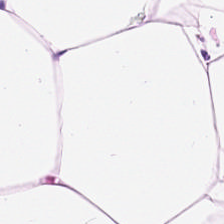H&E stain.
This field is fat tissue.
